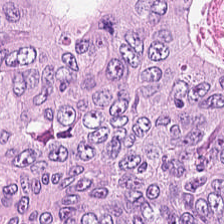H&E-stained tissue section · 0.5 microns per pixel · 224×224 px tile.
The predominant tissue is colorectal adenocarcinoma epithelium.
